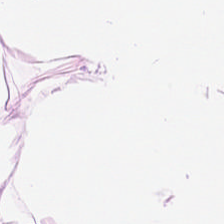H&E stain. {"tissue_type": "adipose tissue"}
